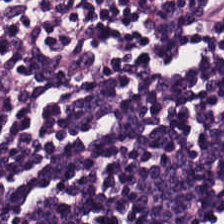Whole-slide-image patch; FFPE tissue section; H&E.
The classification is lymphocytes.
